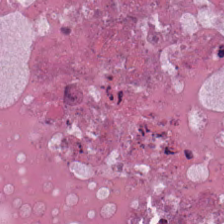H&E stain. 0.5 µm per pixel. Finding → cellular debris.
